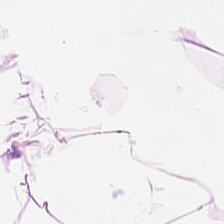The classification is adipose.
